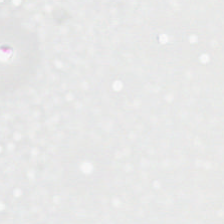Hematoxylin and eosin.
This patch shows background (no tissue).
